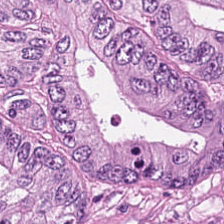{"tissue_type": "adenocarcinoma"}
